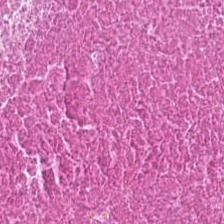224×224 pixel tile; 0.5 µm per pixel; H&E-stained tissue section.
Tissue — cellular debris.
